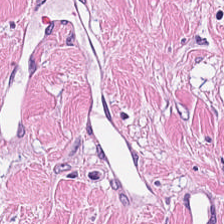H&E stain. Tissue type = cancer-associated stroma.
